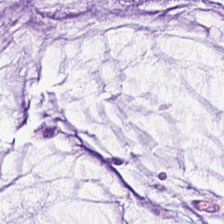Hematoxylin and eosin — Q: What is shown here?
A: Extracellular mucin.
